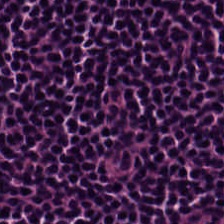H&E patch showing lymphocyte aggregate.
